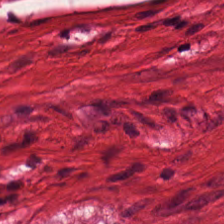0.5 µm/px. Hematoxylin-and-eosin stained section. 224×224 pixel tile. Smooth-muscle tissue.
